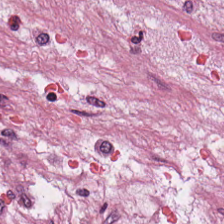H&E-stained tissue section — The predominant tissue is desmoplastic stroma.
